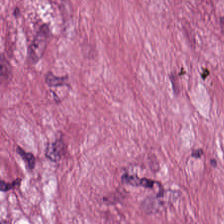Stain: H&E.
Predominant tissue: cancer-associated stroma.
